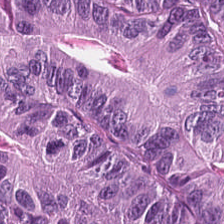H&E-stained tissue section.
Q: What tissue is shown?
A: It is tumor epithelium.
